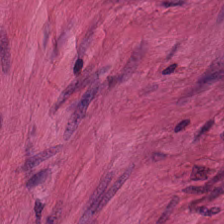Stain: H&E stain.
Tissue: smooth-muscle tissue.
